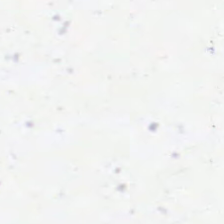The content is empty background.
